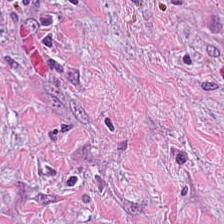Impression — cancer-associated stroma.
